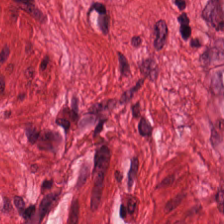Brightfield microscopy; FFPE; H&E stain. Predominant tissue: muscularis.
